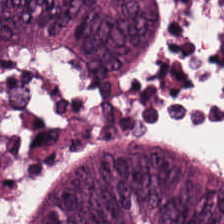WSI patch · FFPE · H&E stain — Colorectal adenocarcinoma epithelium.
